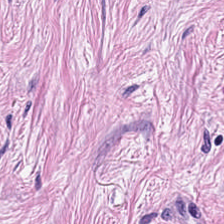H&E — desmoplastic stroma.
